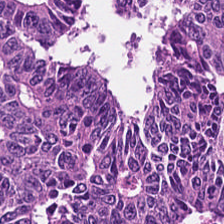H&E-stained tissue section; WSI patch; 0.5 µm per pixel.
The predominant tissue is adenocarcinoma.
